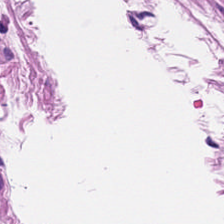H&E-stained tissue section.
Tissue class: smooth-muscle tissue.
